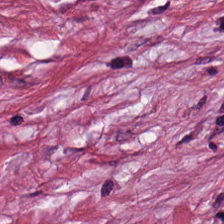Impression — cancer-associated stroma.
